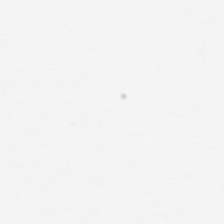Histology — background (no tissue).
